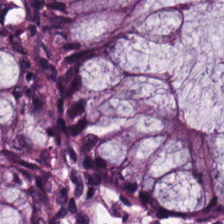20× equivalent magnification · FFPE · hematoxylin-and-eosin stained section.
Histology → normal colon mucosa.
